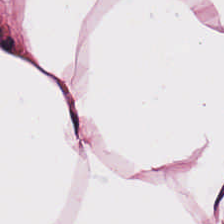H&E-stained tissue section · 224×224 px tile.
Predominant tissue = adipocytes.
